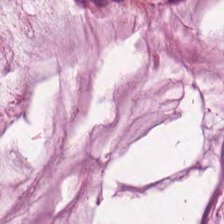H&E stain · 20× equivalent magnification. Predominant tissue: mucus.
